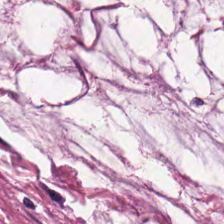H&E stain. The predominant tissue is extracellular mucin.
